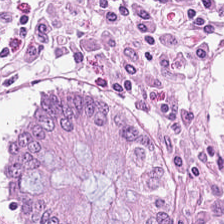H&E. Classification = normal colon mucosa.
